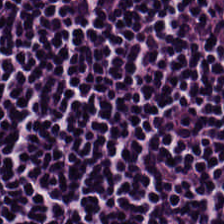Stain: hematoxylin-and-eosin stained section.
Tile size: 224×224 px patch.
Acquisition: brightfield.
Predominant tissue: lymphocyte aggregate.
